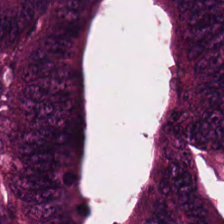This field is tumor epithelium.
